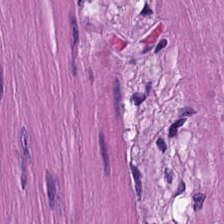Formalin-fixed paraffin-embedded section; H&E-stained tissue section. Showing muscularis.
